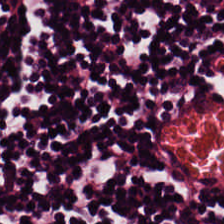224×224 pixel tile · H&E-stained tissue section · brightfield. The tissue class is lymphocyte aggregate.
